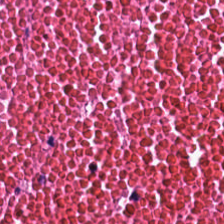Hematoxylin-and-eosin stained section. Showing cellular debris.
